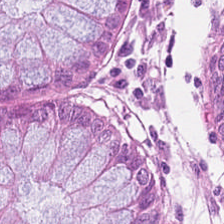Hematoxylin-and-eosin section: normal colon mucosa.
